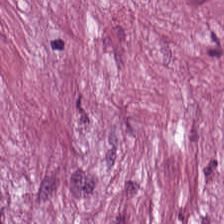Hematoxylin-and-eosin stained section.
Classification — cancer-associated stroma.
